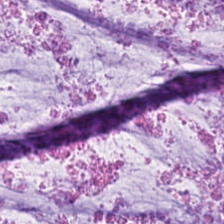H&E-stained tissue section; FFPE tissue section — Q: Identify the tissue.
A: The field shows mucin.
